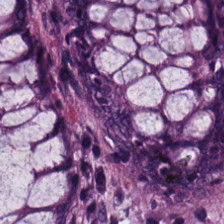Tissue type = non-neoplastic colon mucosa.
